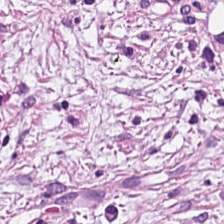The tissue is cancer-associated stroma.
